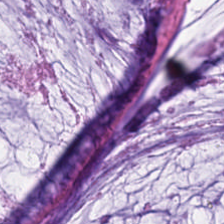H&E.
{"tissue_type": "mucus"}
